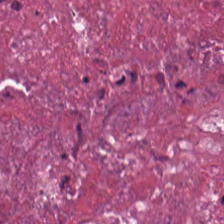H&E; FFPE tissue section — Tissue type = cellular debris.
